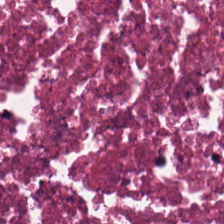Tissue: necrotic debris.
